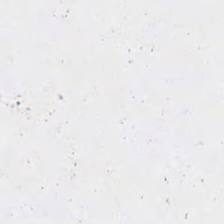FFPE. Hematoxylin-and-eosin stained section.
Field content — background.
